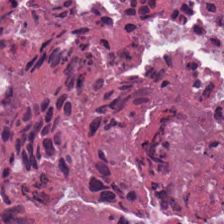H&E stain — Histology → necrotic debris.
